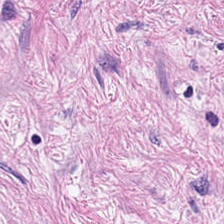This patch shows desmoplastic stroma.
